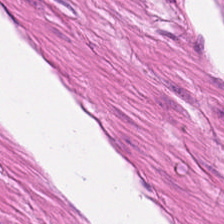Whole-slide-image patch. Hematoxylin-and-eosin stained section — {"tissue_type": "smooth-muscle tissue"}
